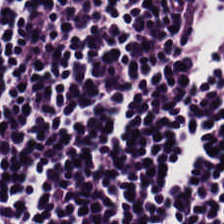Hematoxylin and eosin — The classification is lymphoid infiltrate.
